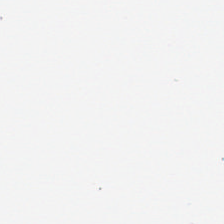{"content": "background (no tissue)"}
